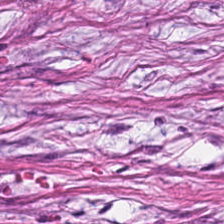Hematoxylin and eosin. Q: Classify this patch.
A: This is tumor-associated stroma.
